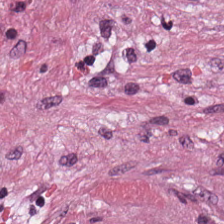Hematoxylin-and-eosin stained section. 20× equivalent magnification. 224×224 px patch. {"tissue_type": "desmoplastic stroma"}
